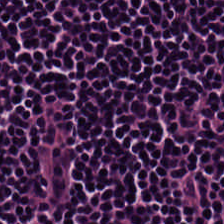Formalin-fixed paraffin-embedded section · 224×224 px patch · H&E-stained tissue section — Histology — lymphocytic infiltrate.
